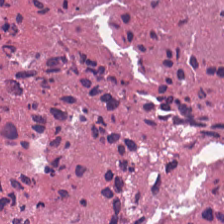H&E; WSI patch. Histology — debris.
